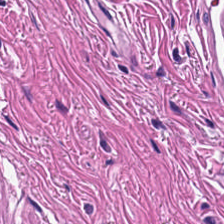H&E-stained tissue section · WSI patch. Q: What does this patch show?
A: The field shows muscularis.
